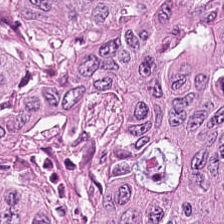20× equivalent magnification; H&E-stained tissue section; formalin-fixed paraffin-embedded section.
The tissue class is colorectal adenocarcinoma.
